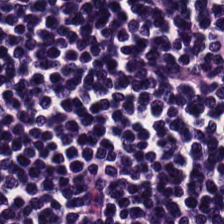Hematoxylin-and-eosin stained section.
Showing lymphocyte aggregate.
